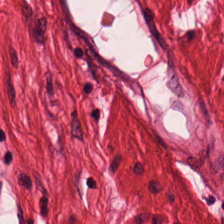FFPE · hematoxylin-and-eosin stained section · 20× equivalent magnification. Predominantly smooth muscle.
